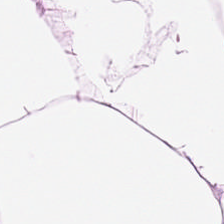Tissue: adipose.
